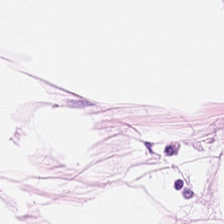Hematoxylin and eosin.
This patch shows fat tissue.
